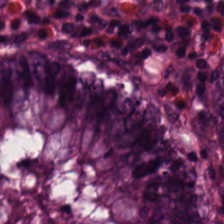Whole-slide-image patch. 20× equivalent magnification. H&E.
Showing normal colonic mucosa.
